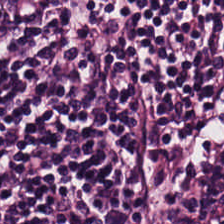H&E-stained tissue section.
Tissue: lymphoid infiltrate.
